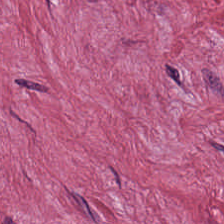H&E stain. FFPE tissue section. 20× equivalent magnification.
This field is tumor-associated stroma.
